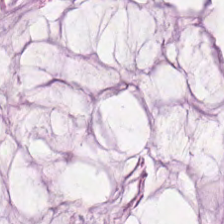The tissue class is mucus.
